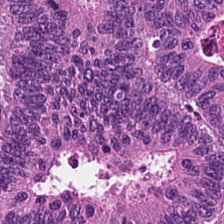Histology → malignant epithelium.
